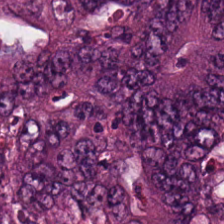This patch shows colorectal adenocarcinoma epithelium.
